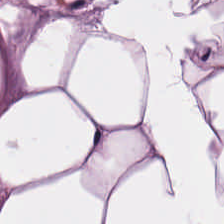Tissue class = fat tissue.
